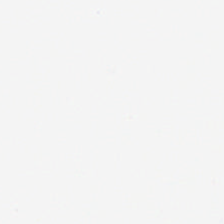The classification is no tissue.
